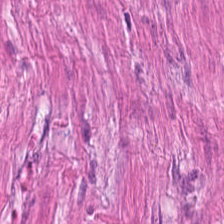Smooth muscle.
